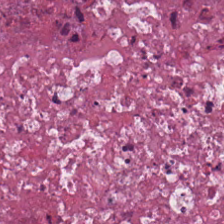Stain: H&E-stained tissue section.
Predominant tissue: necrotic debris.
